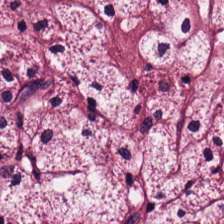0.5 µm/px · H&E-stained tissue section. The classification is desmoplastic stroma.
